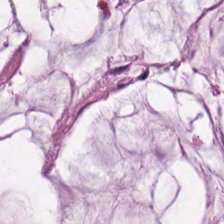The tissue here is extracellular mucin.
